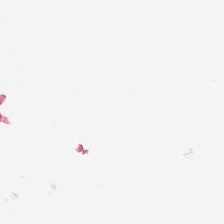224×224 px tile; hematoxylin-and-eosin stained section — Field content — background (no tissue).
